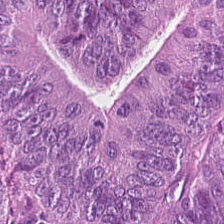H&E stain.
Tissue class = malignant epithelium.
